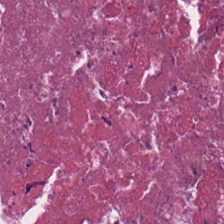Brightfield microscopy. Hematoxylin and eosin. 224×224 px patch. Showing debris.
